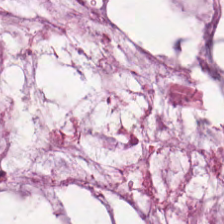H&E-stained tissue section; FFPE; 0.5 µm/px — Classification: mucus.
